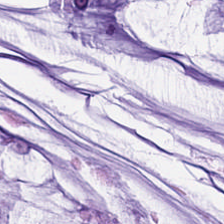Hematoxylin-and-eosin stained section.
This field is mucin.
